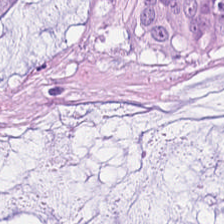H&E — {"tissue_type": "extracellular mucin"}
